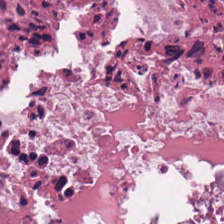224×224 px tile; 0.5 µm per pixel; hematoxylin-and-eosin stained section.
Tissue = cellular debris.
